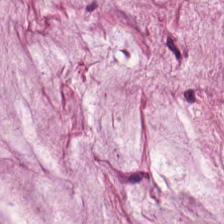H&E-stained tissue section — The predominant tissue is mucin.
